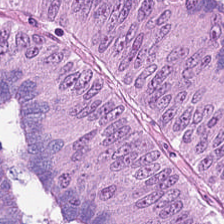H&E-stained tissue section. FFPE tissue section. Histology → colorectal adenocarcinoma.
